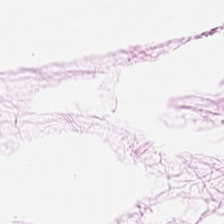Stain: hematoxylin-and-eosin stained section.
Predominant tissue: fat tissue.
